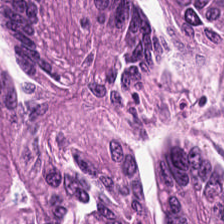Stain: hematoxylin-and-eosin stained section.
Predominant tissue: colorectal adenocarcinoma.
